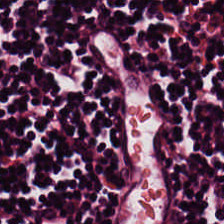Tissue = lymphoid infiltrate.
